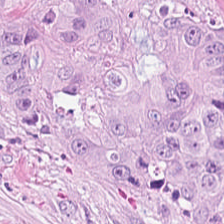Q: What tissue type is shown here?
A: Tumor epithelium.
